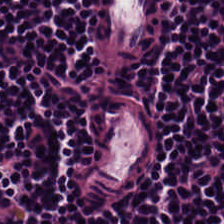FFPE; 0.5 µm/px; H&E-stained tissue section. Lymphocyte aggregate.
